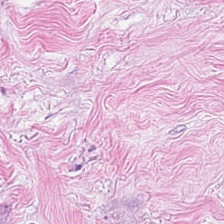H&E stain.
The predominant tissue is cancer-associated stroma.
